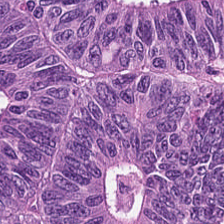Hematoxylin and eosin; FFPE; brightfield microscopy — {"tissue_type": "colorectal adenocarcinoma"}
